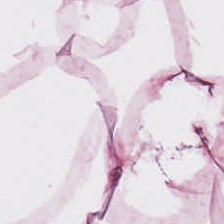0.5 microns per pixel; H&E. The tissue class is adipocytes.
